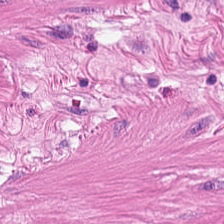Formalin-fixed paraffin-embedded section · H&E-stained tissue section. Smooth muscle.
